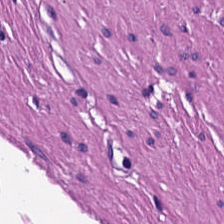224×224 px patch; FFPE; H&E-stained tissue section.
Q: What is the predominant tissue type?
A: The field shows smooth-muscle tissue.
